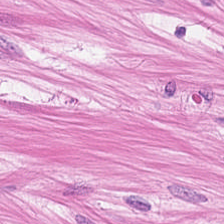The tissue here is muscularis.
